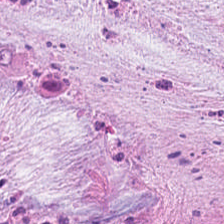Brightfield microscopy; H&E stain; 224×224 px tile.
Predominant tissue: cancer-associated stroma.
